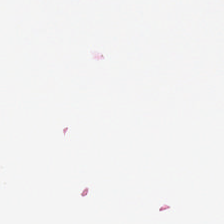FFPE; hematoxylin-and-eosin stained section — Q: What is shown in this field?
A: This is no tissue.
